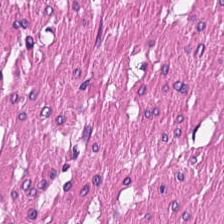Stain: hematoxylin-and-eosin stained section.
Tile size: 224×224 px patch.
Predominant tissue: smooth-muscle tissue.
